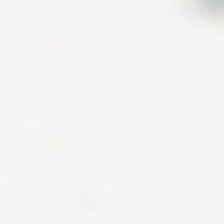Hematoxylin and eosin.
Q: Classify this patch.
A: The field shows background (no tissue).
